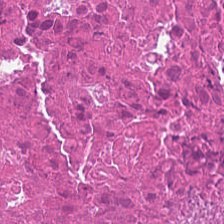Stain: H&E-stained tissue section.
Predominant tissue: debris.
